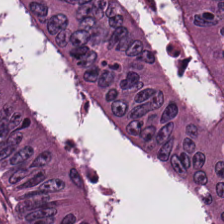224×224 px patch; whole-slide-image patch; H&E stain. The tissue type is tumor epithelium.
